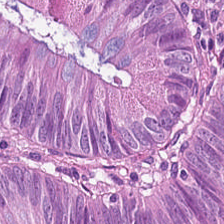Brightfield microscopy. H&E-stained tissue section — Classification: tumor epithelium.
